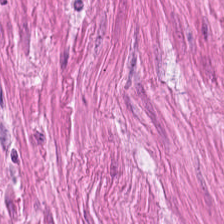FFPE tissue section; H&E stain. Q: Identify the tissue.
A: The field shows smooth-muscle tissue.
